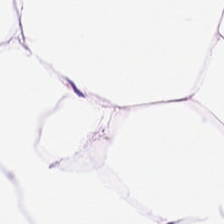0.5 µm/px; H&E stain.
Q: What is shown here?
A: It is fat tissue.
